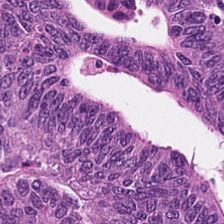H&E-stained tissue section.
Tissue type — malignant epithelium.
